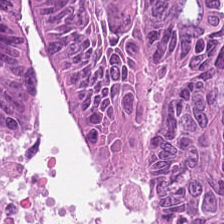H&E-stained tissue section.
Showing colorectal adenocarcinoma epithelium.
